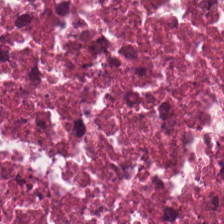H&E. Predominant tissue — cellular debris.
